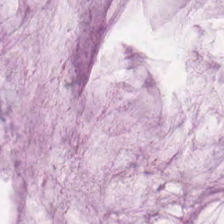Hematoxylin and eosin.
This field is mucus.
